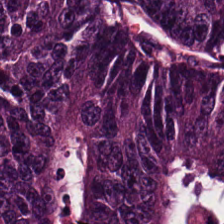20× equivalent magnification. H&E stain — This patch shows colorectal adenocarcinoma.
